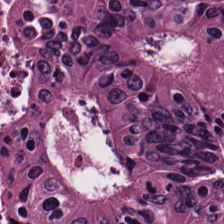Hematoxylin and eosin.
Impression → malignant epithelium.
